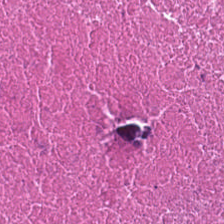Hematoxylin and eosin. Impression → debris.
